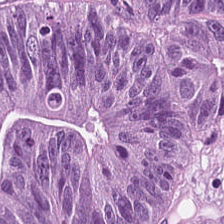H&E. Brightfield microscopy — This field is adenocarcinoma.
